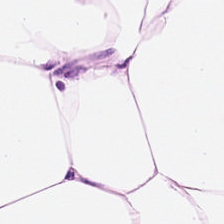H&E-stained tissue section.
Q: What is shown here?
A: This is adipocytes.
